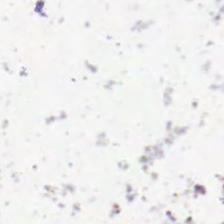Q: Classify this patch.
A: The field shows no tissue.
